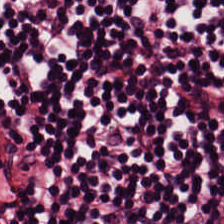Brightfield microscopy. H&E. The predominant tissue is lymphocytes.
